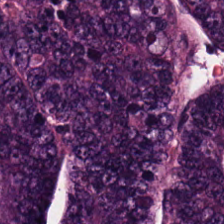H&E. Brightfield microscopy. 224×224 px tile.
Adenocarcinoma.
